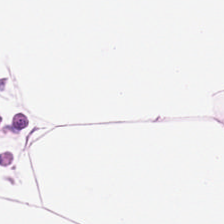H&E stain — Q: What is the predominant tissue type?
A: This is fat tissue.
